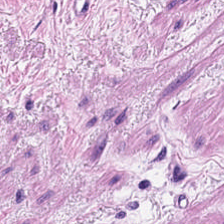Predominantly smooth-muscle tissue.
